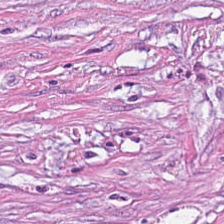Tissue — tumor-associated stroma.
